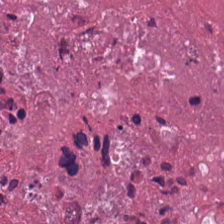Hematoxylin-and-eosin stained section. WSI patch. Finding → cellular debris.
